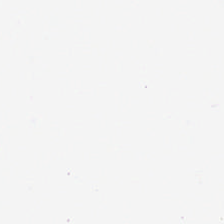This field is background (no tissue).
